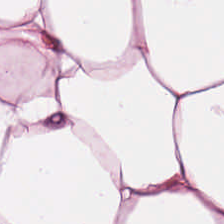Predominant tissue: adipose.
